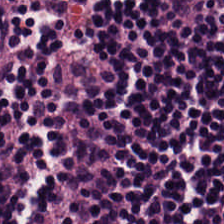The tissue class is lymphocytes.
